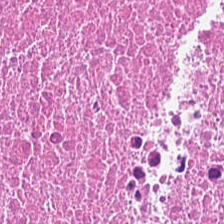H&E. Tissue class = cellular debris.
